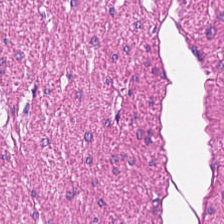Stain: hematoxylin and eosin.
Tissue type: smooth-muscle tissue.
